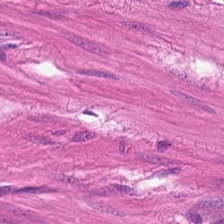H&E — Q: What does this patch show?
A: Muscularis.
